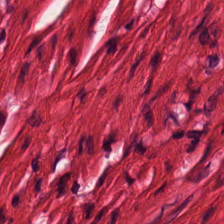Q: Identify the tissue.
A: The field shows smooth-muscle tissue.
